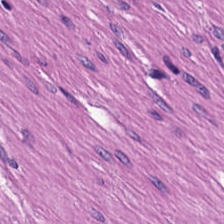224×224 px patch. 0.5 µm per pixel. H&E stain — {"tissue_type": "smooth muscle"}
